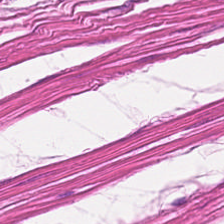Impression → smooth muscle.
